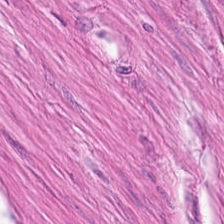H&E-stained section; the field shows muscularis.
